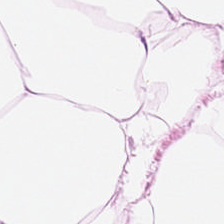Stain: hematoxylin-and-eosin stained section.
Preparation: FFPE.
Classification: adipose tissue.
